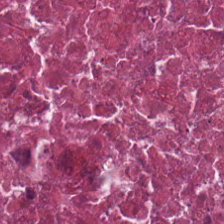H&E-stained tissue section showing necrotic debris.
